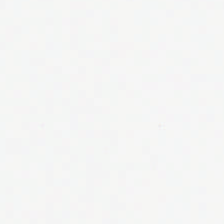0.5 µm per pixel; H&E. Background — no tissue in this field.
